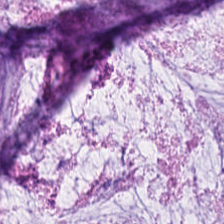Stain: hematoxylin-and-eosin stained section.
Resolution: 0.5 microns per pixel.
Tile size: 224×224 px tile.
Tissue: extracellular mucin.
